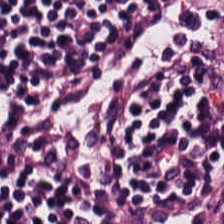Classification: lymphoid infiltrate.
